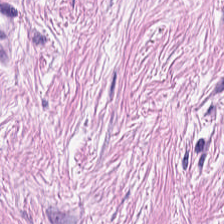0.5 µm per pixel. Brightfield. H&E stain — Q: What does this patch show?
A: Tumor stroma.
